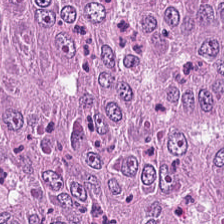H&E-stained tissue section. {"tissue_type": "tumor epithelium"}
